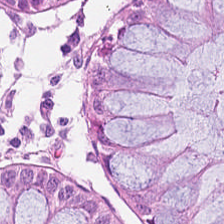224×224 px tile · 0.5 µm/px · H&E-stained tissue section. The predominant tissue is normal colon mucosa.
